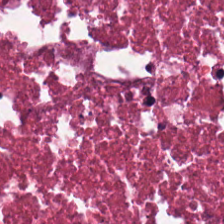Whole-slide-image patch. 0.5 microns per pixel. H&E-stained tissue section. Q: What tissue is shown?
A: This is cellular debris.
